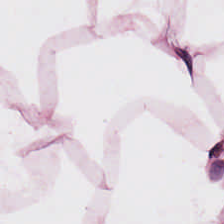Q: What is shown in this field?
A: Adipocytes.
